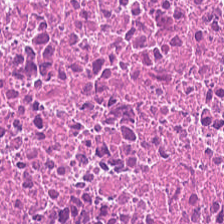Stain: hematoxylin and eosin.
Preparation: FFPE.
Tile size: 224×224 px patch.
Tissue: debris.
